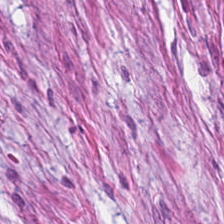Predominant tissue — cancer-associated stroma.
